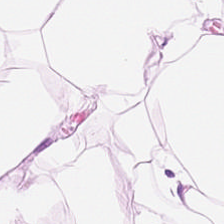H&E stain — The predominant tissue is adipose.
